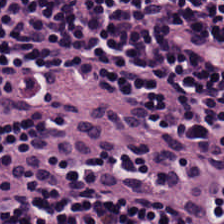Formalin-fixed paraffin-embedded section · hematoxylin-and-eosin stained section — Classification — lymphocytes.
